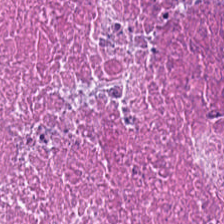FFPE tissue section; H&E; brightfield microscopy — Q: What does this patch show?
A: It is necrotic debris.
